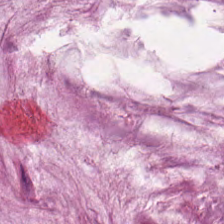Hematoxylin-and-eosin stained section. Tissue class — mucin.
